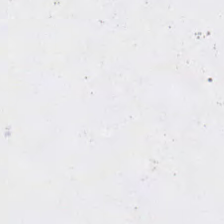Hematoxylin and eosin — Background — no tissue in this field.
